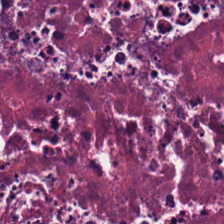H&E; 0.5 µm per pixel — The classification is necrotic debris.
